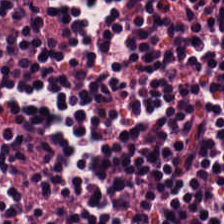Classification = lymphocytes.
